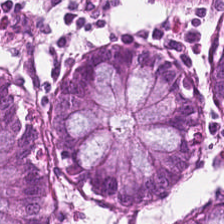Hematoxylin and eosin. Finding — normal colon mucosa.
